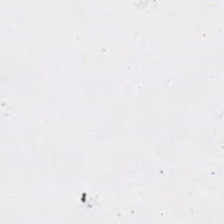Hematoxylin and eosin · WSI patch — Q: What is shown in this field?
A: This is empty background.
